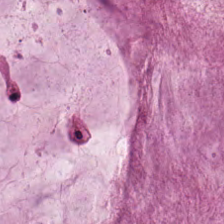H&E · 224×224 px tile · brightfield microscopy. The predominant tissue is mucus.
